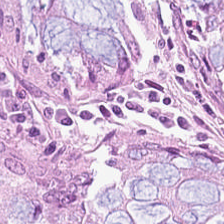Impression → benign colonic mucosa.
